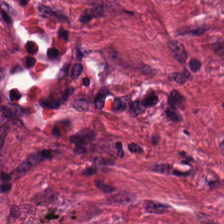Brightfield microscopy · hematoxylin and eosin — This patch shows desmoplastic stroma.
